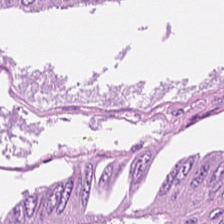H&E — Colorectal adenocarcinoma epithelium.
